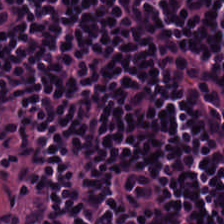Hematoxylin-and-eosin stained section. FFPE. WSI patch — Impression → lymphocytes.
